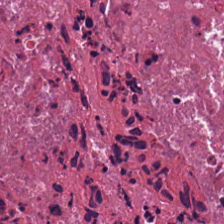Stain: H&E-stained tissue section.
Tissue type: debris.
